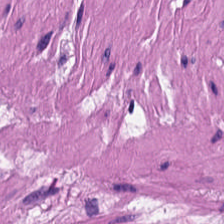Stain: H&E.
Preparation: FFPE tissue section.
Tissue: muscularis.
